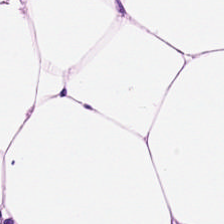Q: Identify the tissue.
A: Adipose tissue.
